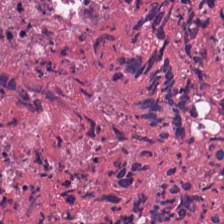Hematoxylin and eosin — Predominant tissue: cellular debris.
